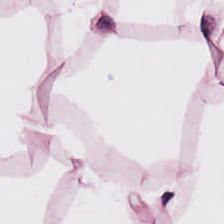H&E stain. Formalin-fixed paraffin-embedded section.
Tissue: adipocytes.
